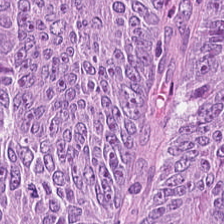H&E-stained tissue section — Q: What is shown in this field?
A: Colorectal adenocarcinoma.
